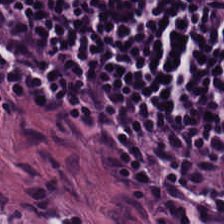This field is lymphocytic infiltrate.
